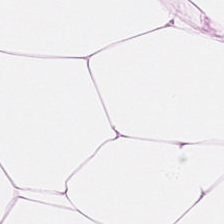H&E stain. Brightfield microscopy.
Finding — adipose tissue.
